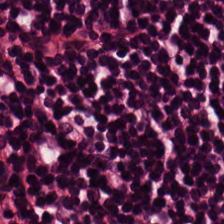Predominant tissue: lymphocytic infiltrate.
